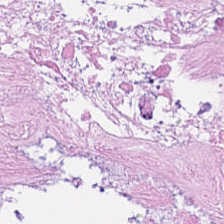WSI patch · H&E-stained tissue section · formalin-fixed paraffin-embedded section. Q: What tissue is shown?
A: The field shows debris.
